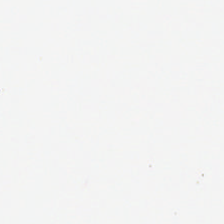Stain: H&E.
Field content: background (no tissue).
